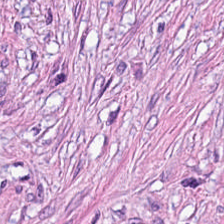H&E stain.
Finding — tumor stroma.
